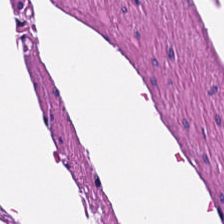H&E stain.
Smooth muscle.
